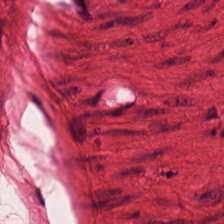Stain: hematoxylin and eosin.
Tissue type: muscularis.
